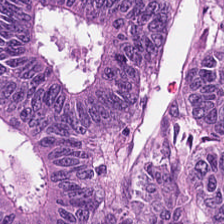Hematoxylin-and-eosin stained section — Classification — colorectal adenocarcinoma.
